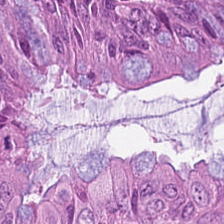Q: Classify this patch.
A: Colorectal adenocarcinoma epithelium.
